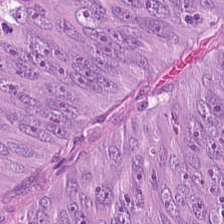H&E patch showing tumor epithelium.
